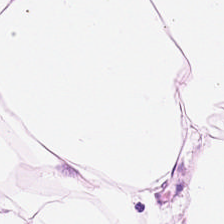Finding → adipose.
